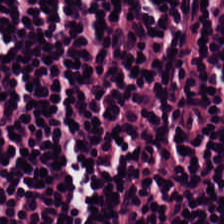H&E.
Finding — lymphocytes.
